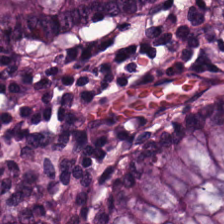224×224 px tile; 0.5 µm/px; H&E.
Q: What does this patch show?
A: The field shows normal colon mucosa.
